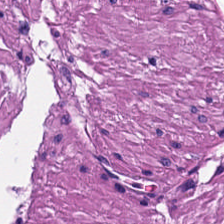H&E stain — Q: What is shown in this field?
A: This is smooth-muscle tissue.
